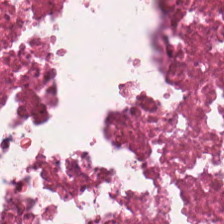Hematoxylin-and-eosin stained section. Brightfield microscopy — The classification is cellular debris.
